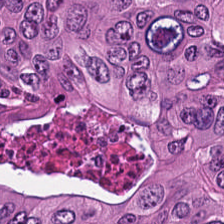H&E-stained tissue section; 0.5 µm/px; brightfield. Q: What tissue type is shown here?
A: The field shows colorectal adenocarcinoma epithelium.
